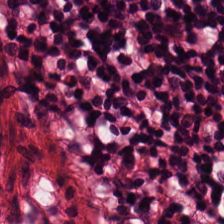Formalin-fixed paraffin-embedded section · brightfield microscopy · hematoxylin-and-eosin stained section. {"tissue_type": "lymphocyte aggregate"}
